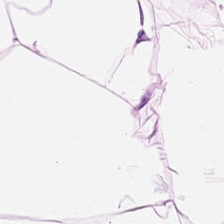Hematoxylin and eosin; 224×224 px tile. This patch shows adipose.
